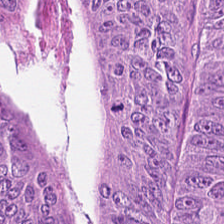Hematoxylin-and-eosin stained section.
Classification = colorectal adenocarcinoma.
